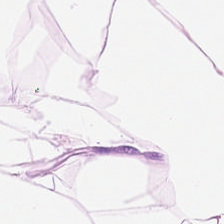Tissue class: adipose.
